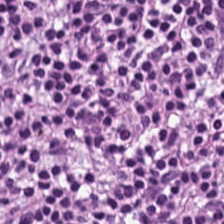The predominant tissue is lymphoid infiltrate.
